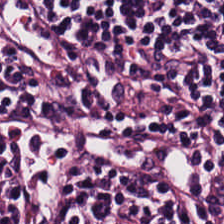{"tissue_type": "lymphocytes"}
